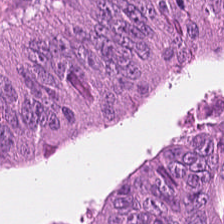H&E-stained tissue section. Tissue type: tumor epithelium.
